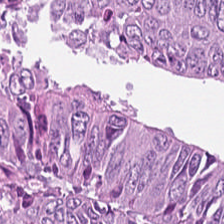Q: Identify the tissue.
A: Malignant epithelium.
